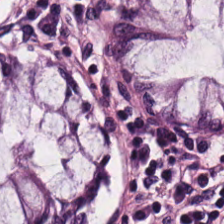H&E stain — Q: What tissue is shown?
A: It is benign colonic mucosa.
